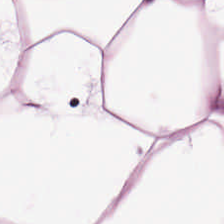H&E.
Q: What tissue is shown?
A: Adipose tissue.
